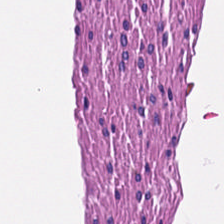Hematoxylin-and-eosin stained section · FFPE · 0.5 microns per pixel — Predominantly smooth-muscle tissue.
